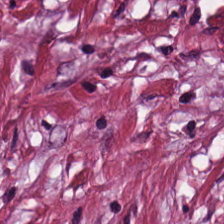Stain: hematoxylin and eosin.
Predominant tissue: tumor-associated stroma.
